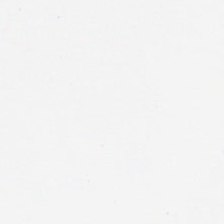H&E.
Impression → background (no tissue).
